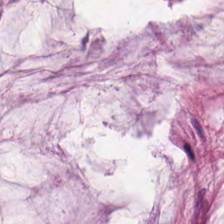Hematoxylin-and-eosin stained section — Impression — mucus.
